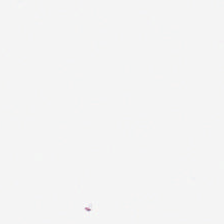H&E.
This patch shows empty background.
